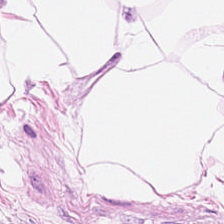Hematoxylin and eosin.
The predominant tissue is adipose.
